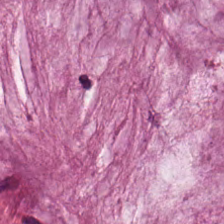WSI patch. Hematoxylin and eosin. Q: What tissue type is shown here?
A: The field shows mucus.
